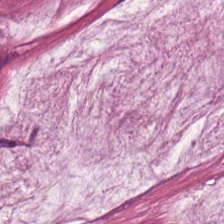H&E.
This field is mucus.
